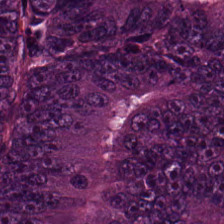Hematoxylin-and-eosin stained section. Q: What tissue type is shown here?
A: This is colorectal adenocarcinoma epithelium.
